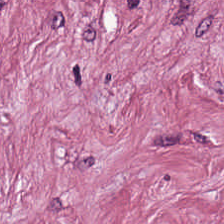H&E — tumor stroma.
